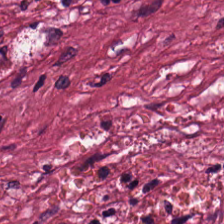Hematoxylin-and-eosin stained section; 0.5 µm/px; whole-slide-image patch. Finding → tumor-associated stroma.
